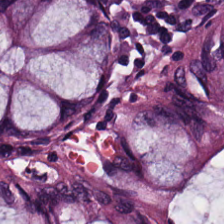Brightfield; H&E-stained tissue section. This patch shows non-neoplastic colon mucosa.
